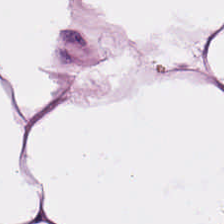Hematoxylin-and-eosin stained section.
The predominant tissue is fat tissue.
